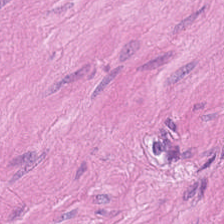The classification is muscularis.
